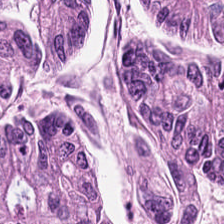Histology → colorectal adenocarcinoma epithelium.
